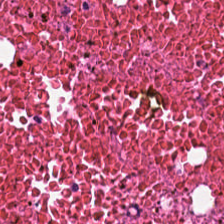Showing cellular debris.
